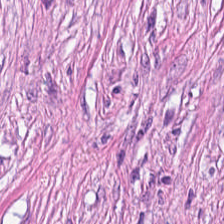H&E; FFPE tissue section. This patch shows desmoplastic stroma.
